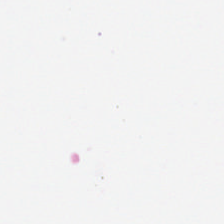H&E-stained tissue section. Brightfield. 20× equivalent magnification. This field is background (no tissue).
